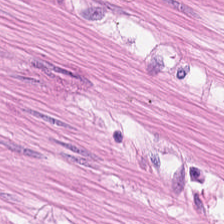Hematoxylin-and-eosin stained section — This patch shows muscularis.
